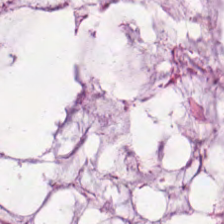Hematoxylin and eosin; FFPE.
Classification — mucin.
